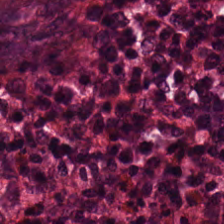Classification — normal colonic mucosa.
